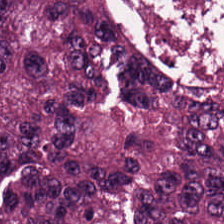H&E-stained section; the field shows malignant epithelium.
